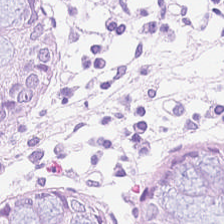Stain: hematoxylin-and-eosin stained section.
Resolution: 0.5 microns per pixel.
Tile size: 224×224 px patch.
Tissue class: non-neoplastic colon mucosa.
